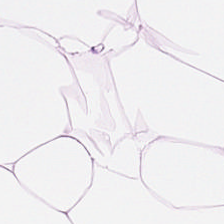Q: What tissue type is shown here?
A: Adipocytes.
